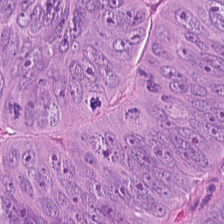0.5 microns per pixel; H&E stain. Showing colorectal adenocarcinoma epithelium.
